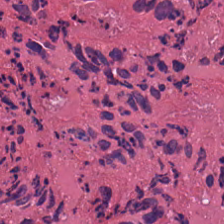FFPE · H&E stain. The tissue is cellular debris.
